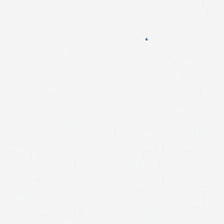Hematoxylin and eosin. Q: Classify this patch.
A: The field shows no tissue.
